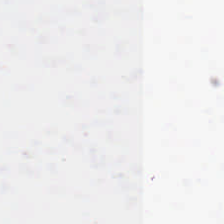H&E-stained tissue section. 20× equivalent magnification. This field is background (no tissue).
